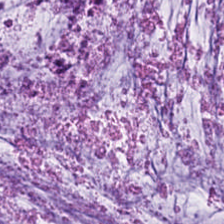Stain: H&E.
Tissue class: mucus.
